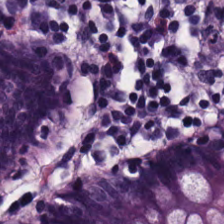H&E — Q: What is shown here?
A: It is non-neoplastic colon mucosa.
